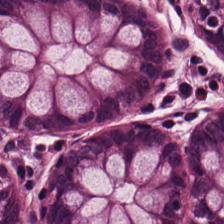Stain: H&E-stained tissue section.
Tissue type: normal colon mucosa.
